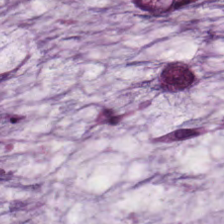H&E — mucus.
